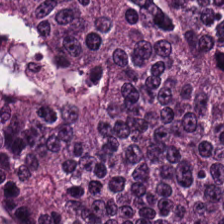FFPE. H&E.
Malignant epithelium.
